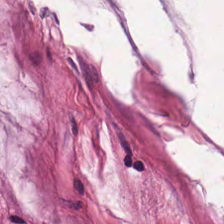H&E stain — Tissue type: extracellular mucin.
